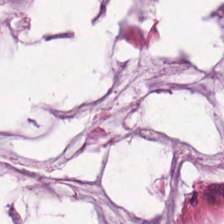Predominantly mucus.
